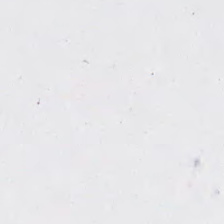H&E; 0.5 microns per pixel. Impression → empty background.
